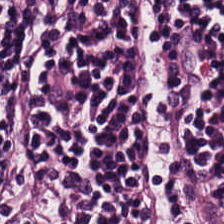H&E stain.
Q: What is the predominant tissue type?
A: This is lymphocytic infiltrate.
